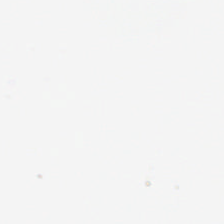Stain: H&E.
Classification: empty background.
